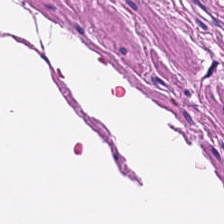H&E. 224×224 px tile — {"tissue_type": "muscularis"}
